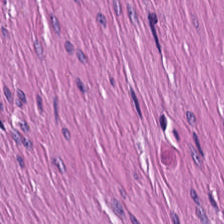Q: What does this patch show?
A: This is smooth muscle.
